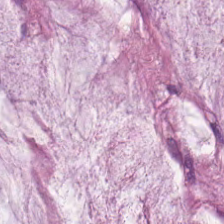H&E; formalin-fixed paraffin-embedded section.
This patch shows extracellular mucin.
